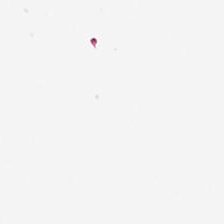Hematoxylin and eosin.
Empty background.
